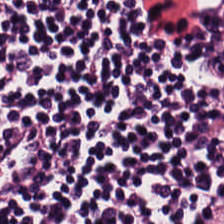H&E stain — Predominant tissue = lymphocyte aggregate.
